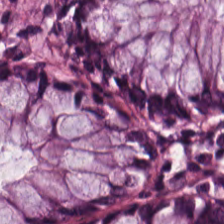Stain: hematoxylin-and-eosin stained section.
Predominant tissue: normal colon mucosa.
